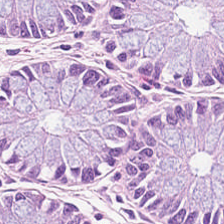Hematoxylin-and-eosin stained section.
Q: What does this patch show?
A: It is non-neoplastic colon mucosa.
